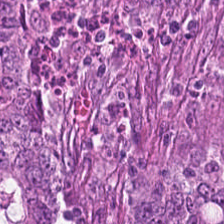Stain: H&E stain.
Tissue class: tumor epithelium.
